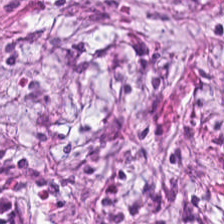Hematoxylin-and-eosin stained section.
Impression → desmoplastic stroma.
